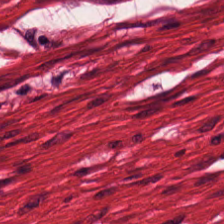H&E-stained tissue section. Predominantly smooth muscle.
